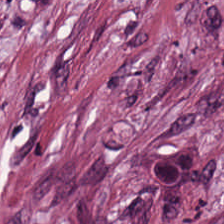Brightfield microscopy · H&E-stained tissue section.
Q: What is shown here?
A: It is desmoplastic stroma.
